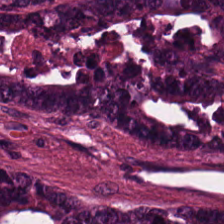0.5 microns per pixel. H&E — Tissue class — tumor epithelium.
